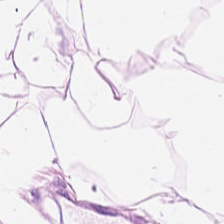H&E. Q: What does this patch show?
A: Fat tissue.
